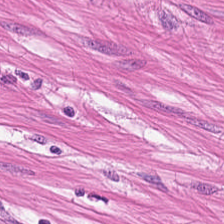Hematoxylin and eosin.
Showing muscularis.
